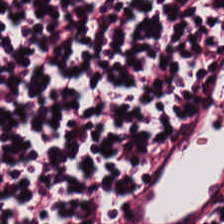The predominant tissue is lymphocytes.
